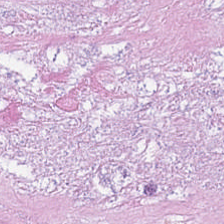Hematoxylin-and-eosin stained section — Q: Identify the tissue.
A: It is cellular debris.
